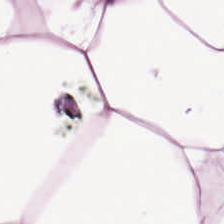Hematoxylin-and-eosin stained section.
Fat tissue.
